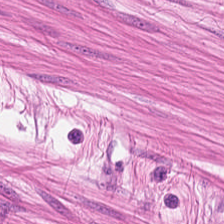H&E-stained tissue section — Q: What is shown here?
A: Smooth muscle.
